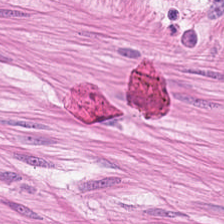The predominant tissue is smooth muscle.
